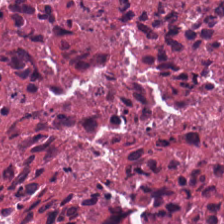H&E stain. 0.5 microns per pixel. Brightfield — The predominant tissue is cellular debris.
